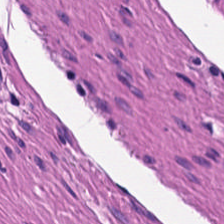Hematoxylin and eosin — Histology → smooth-muscle tissue.
